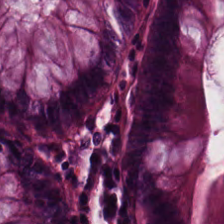Hematoxylin and eosin. Q: What does this patch show?
A: It is non-neoplastic colon mucosa.
